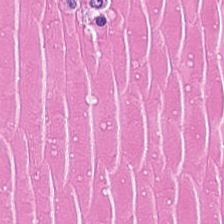H&E stain. {"tissue_type": "cellular debris"}
